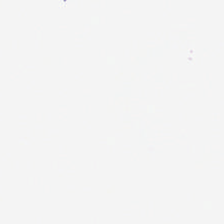Hematoxylin and eosin. Background (no tissue).
